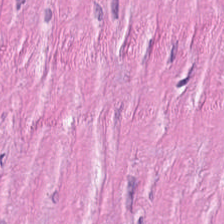Stain: H&E.
Preparation: FFPE tissue section.
Tissue class: tumor-associated stroma.
